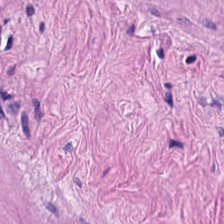H&E. The tissue here is smooth muscle.
